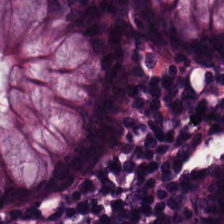H&E. This field is normal colon mucosa.
